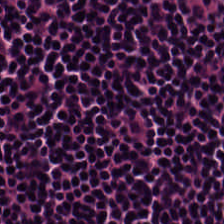20× equivalent magnification · hematoxylin-and-eosin stained section. The tissue here is lymphocytes.
